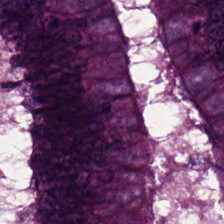H&E stain — Histology → adenocarcinoma.
